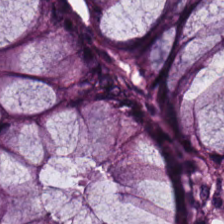Hematoxylin and eosin.
The predominant tissue is normal colonic mucosa.
